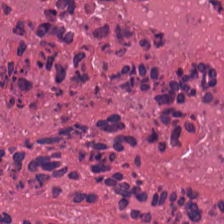Tissue type — debris.
